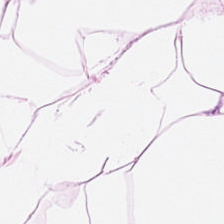Whole-slide-image patch. H&E stain. 224×224 px tile — Q: What type of tissue is this?
A: It is adipocytes.
